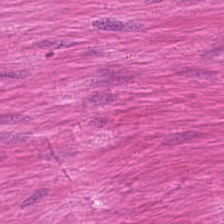Whole-slide-image patch. H&E. 20× equivalent magnification. This patch shows smooth-muscle tissue.
